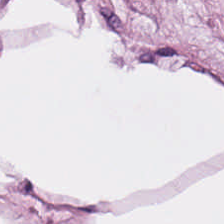H&E — Q: What tissue is shown?
A: The field shows fat tissue.
